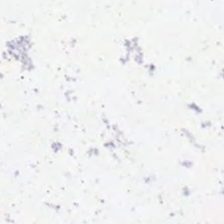Brightfield. H&E stain. 224×224 px tile. Classification — no tissue.
